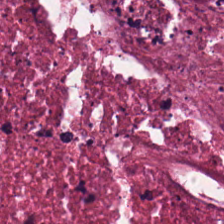Histology → necrotic debris.
